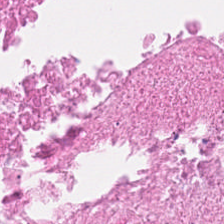H&E — necrotic debris.
